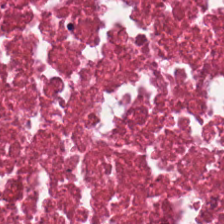Hematoxylin-and-eosin stained section. 224×224 pixel tile. 0.5 µm/px.
{"tissue_type": "debris"}
